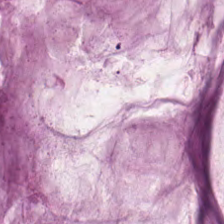Tissue: extracellular mucin.
